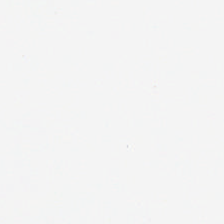This field is background (no tissue).
